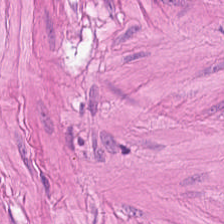Stain: H&E stain.
Tissue: muscularis.
